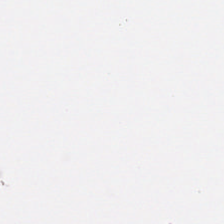Brightfield. H&E stain — Content — empty background.
